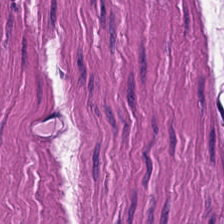Hematoxylin-and-eosin stained section — Q: What is shown in this field?
A: This is smooth-muscle tissue.
